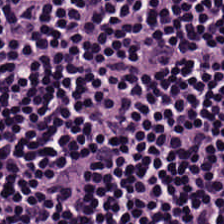0.5 µm per pixel · hematoxylin-and-eosin stained section.
The classification is lymphocytes.
